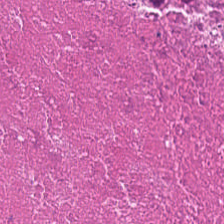H&E stain — The tissue type is cellular debris.
